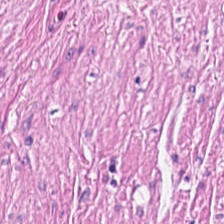H&E-stained tissue section showing muscularis.
